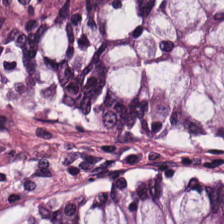Stain: H&E.
Tissue class: normal colonic mucosa.
